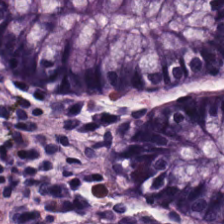Hematoxylin-and-eosin section: benign colonic mucosa.
